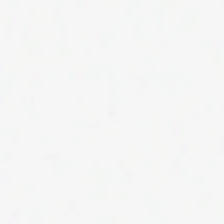0.5 µm per pixel. H&E-stained tissue section. 224×224 pixel tile.
This field is background (no tissue).
